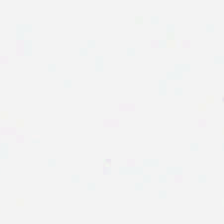Q: What is shown in this field?
A: This is background.
